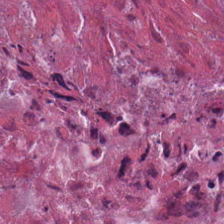Q: What is the predominant tissue type?
A: The field shows necrotic debris.
